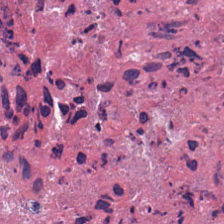Brightfield. Hematoxylin-and-eosin stained section. FFPE — This field is necrotic debris.
